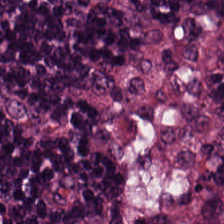Formalin-fixed paraffin-embedded section; hematoxylin-and-eosin stained section.
Finding — lymphocyte aggregate.
